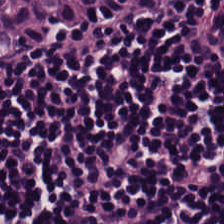Hematoxylin-and-eosin stained section · brightfield microscopy — The predominant tissue is lymphocyte aggregate.
